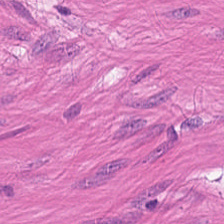Hematoxylin and eosin.
Tissue = muscularis.
